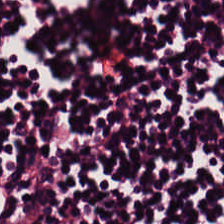H&E stain — Tissue type = lymphocytic infiltrate.
